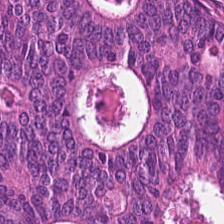Showing malignant epithelium.
